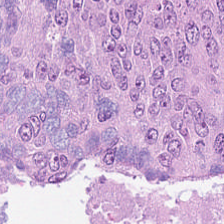Hematoxylin-and-eosin stained section — Predominantly tumor epithelium.
